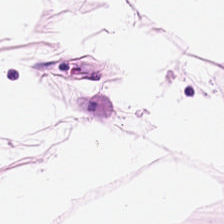Hematoxylin-and-eosin stained section. Predominantly adipose tissue.
